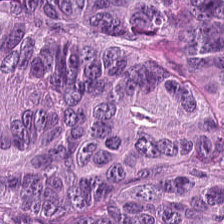The tissue type is adenocarcinoma.
